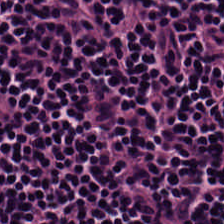224×224 px tile. Brightfield microscopy. H&E stain.
{"tissue_type": "lymphocytes"}
